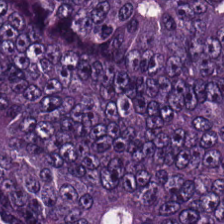Predominant tissue = colorectal adenocarcinoma.
